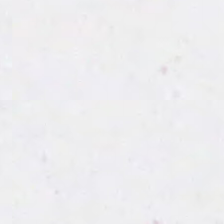Hematoxylin-and-eosin stained section; 224×224 pixel tile.
Q: What does this patch show?
A: The field shows no tissue.
